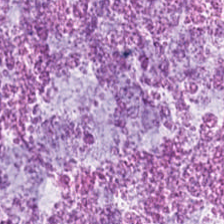H&E-stained tissue section — The predominant tissue is mucin.
